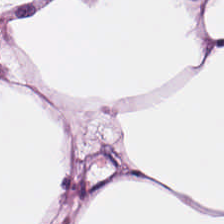This patch shows adipose.
